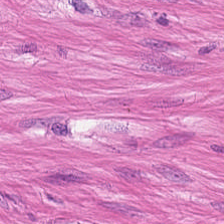H&E-stained tissue section. 224×224 px tile — Q: What tissue is shown?
A: This is smooth muscle.
